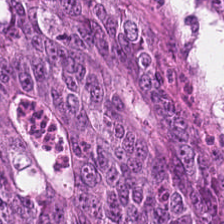H&E patch showing adenocarcinoma.
